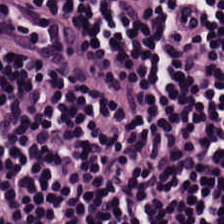H&E-stained section; the field shows lymphocyte aggregate.
